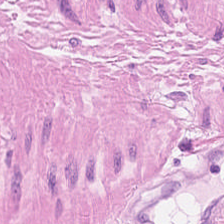Formalin-fixed paraffin-embedded section · H&E-stained tissue section.
Classification = muscularis.
